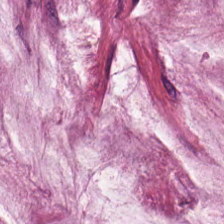Hematoxylin-and-eosin stained section.
Q: Classify this patch.
A: The field shows mucin.
